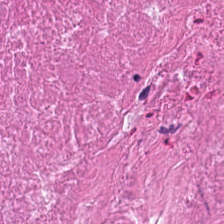Hematoxylin-and-eosin stained section; 0.5 µm per pixel; 224×224 pixel tile. Q: What tissue type is shown here?
A: The field shows necrotic debris.
